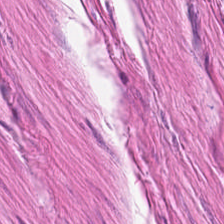0.5 µm per pixel; brightfield microscopy; hematoxylin-and-eosin stained section. Histology → smooth-muscle tissue.
